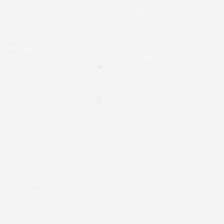H&E-stained tissue section. Q: Classify this patch.
A: It is empty background.
